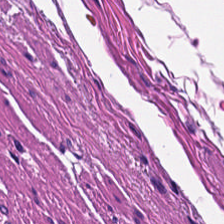Histology → smooth muscle.
